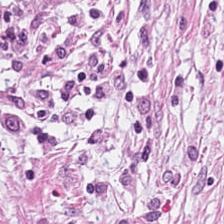Stain: H&E.
Tissue class: cancer-associated stroma.
